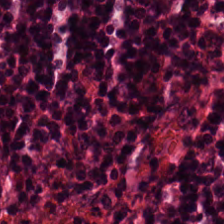Brightfield · 0.5 µm per pixel · hematoxylin and eosin. Q: What does this patch show?
A: It is non-neoplastic colon mucosa.
